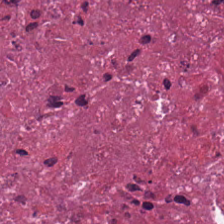Formalin-fixed paraffin-embedded section. Hematoxylin and eosin. 0.5 microns per pixel — Impression — necrotic debris.
